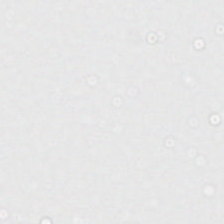H&E stain.
Q: What is shown in this field?
A: It is empty background.
